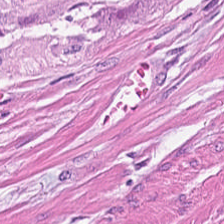Impression → smooth muscle.
